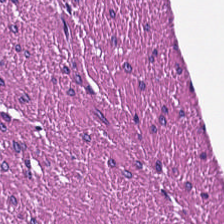FFPE tissue section; hematoxylin-and-eosin stained section.
Histology — smooth muscle.
